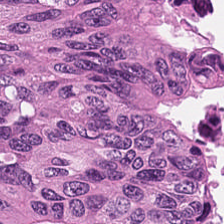Hematoxylin and eosin — Necrotic debris.
